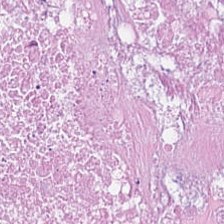Stain: hematoxylin and eosin.
Tissue type: cellular debris.
